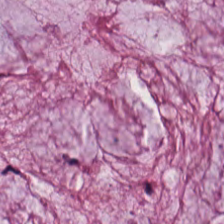Hematoxylin-and-eosin stained section. This patch shows mucin.
